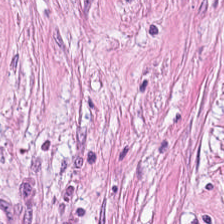224×224 px tile; H&E-stained tissue section. Showing tumor-associated stroma.
